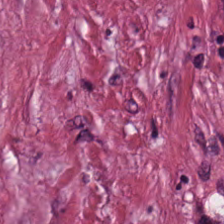H&E stain. Predominant tissue = tumor-associated stroma.
